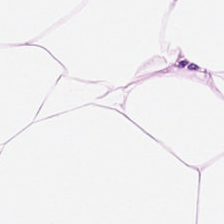H&E; whole-slide-image patch.
The predominant tissue is adipose.
